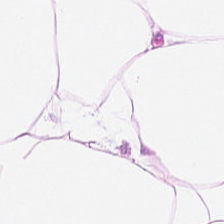Q: What tissue type is shown here?
A: The field shows adipose tissue.
